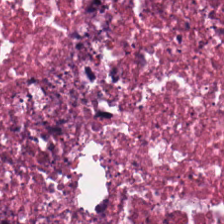H&E-stained tissue section.
Q: What type of tissue is this?
A: The field shows cellular debris.
